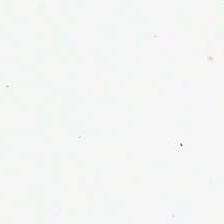224×224 pixel tile; FFPE; H&E. Q: What is shown here?
A: It is empty background.
